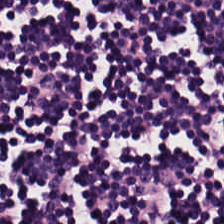Stain: H&E-stained tissue section.
Tissue class: lymphocytes.
